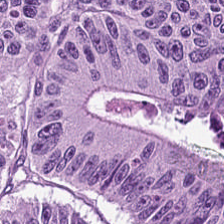Hematoxylin-and-eosin stained section.
Showing tumor epithelium.
